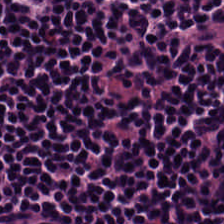Showing lymphocyte aggregate.
